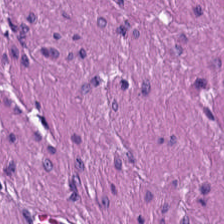H&E stain. Brightfield. Showing smooth-muscle tissue.
